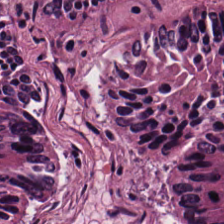H&E patch showing malignant epithelium.
